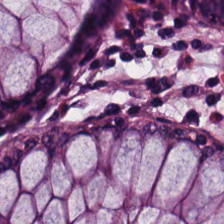H&E stain.
Predominantly non-neoplastic colon mucosa.
